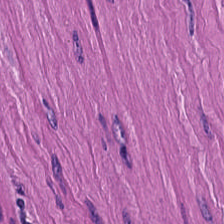H&E-stained tissue section. Finding — smooth muscle.
